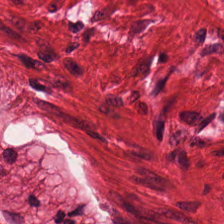Stain: H&E stain.
Tissue: muscularis.
